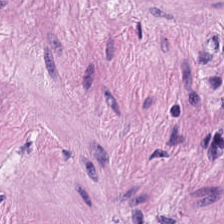Predominant tissue: muscularis.
